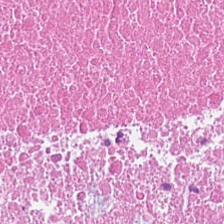Hematoxylin-and-eosin stained section — Showing cellular debris.
